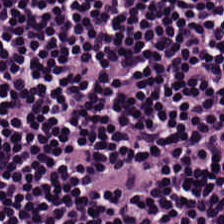20× equivalent magnification · H&E · 224×224 pixel tile — Finding — lymphocyte aggregate.
